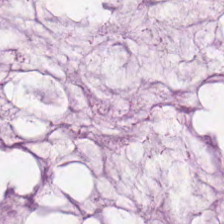Impression → mucin.
